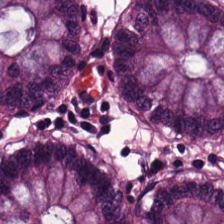Tissue — normal colon mucosa.
